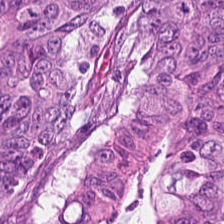Predominant tissue: tumor epithelium.
